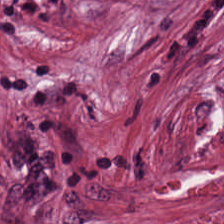H&E stain — Predominantly cancer-associated stroma.
